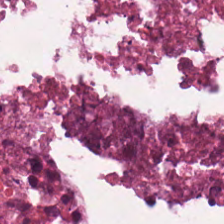Hematoxylin and eosin; formalin-fixed paraffin-embedded section; 224×224 px tile. Showing necrotic debris.
